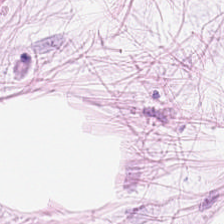H&E — Q: What tissue is shown?
A: It is adipocytes.
